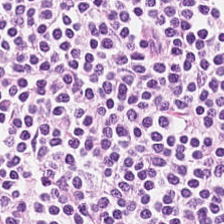Stain: H&E.
Tissue: lymphocyte aggregate.
